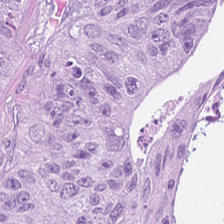H&E-stained tissue section.
Showing colorectal adenocarcinoma.
